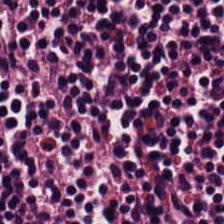224×224 px patch; hematoxylin-and-eosin stained section — Q: What is the predominant tissue type?
A: Lymphocytic infiltrate.
